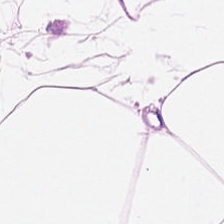Tissue — fat tissue.
